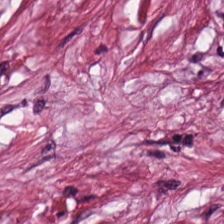WSI patch. FFPE tissue section. Hematoxylin-and-eosin stained section.
Showing tumor-associated stroma.
